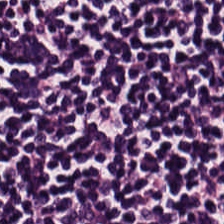FFPE tissue section; hematoxylin and eosin. Classification — lymphoid infiltrate.
